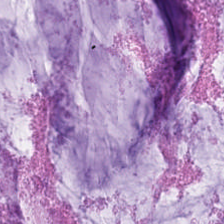H&E stain. The predominant tissue is mucus.
